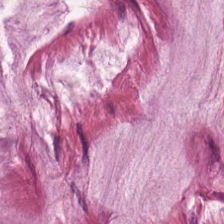Whole-slide-image patch. FFPE. Hematoxylin and eosin.
Q: Identify the tissue.
A: This is mucus.
